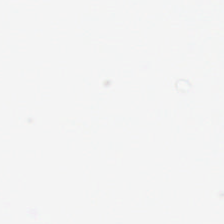Brightfield; hematoxylin and eosin; 0.5 µm/px.
Q: What is shown in this field?
A: Background.
